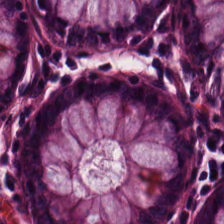H&E-stained tissue section. The tissue here is non-neoplastic colon mucosa.
